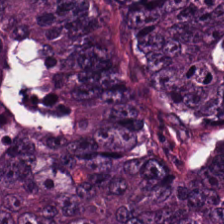H&E-stained tissue section. 224×224 px patch. The tissue here is malignant epithelium.
